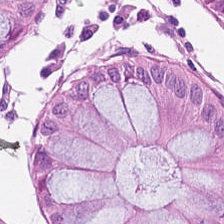H&E stain — Impression — normal colonic mucosa.
